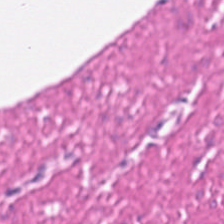Stain: hematoxylin-and-eosin stained section.
Preparation: formalin-fixed paraffin-embedded section.
Resolution: 0.5 microns per pixel.
Tissue class: smooth-muscle tissue.
